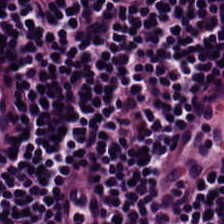224×224 px tile · 20× equivalent magnification · H&E-stained tissue section — This field is lymphocytes.
